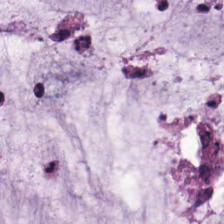Impression — mucus.
